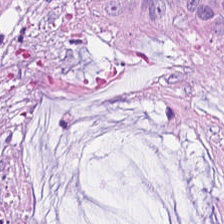H&E.
The tissue is extracellular mucin.
